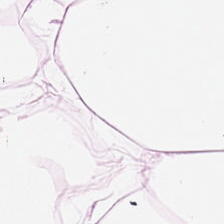Stain: H&E.
Acquisition: whole-slide-image patch.
Predominant tissue: adipose.
